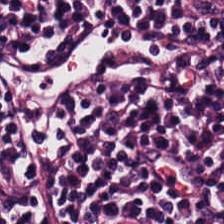Hematoxylin and eosin; FFPE — Finding → lymphocytic infiltrate.
